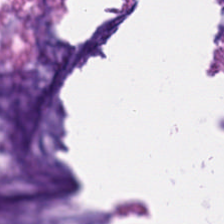H&E — mucin.
